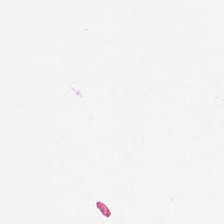H&E stain — Content — background (no tissue).
